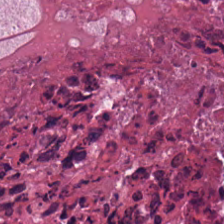H&E-stained tissue section. 224×224 px tile — The tissue here is cellular debris.
